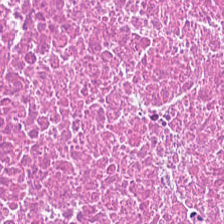Hematoxylin-and-eosin stained section — This field is debris.
